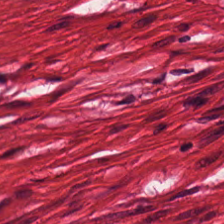0.5 µm per pixel. H&E stain. FFPE tissue section.
{"tissue_type": "smooth-muscle tissue"}
